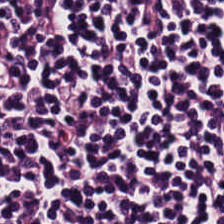The classification is lymphocytic infiltrate.
